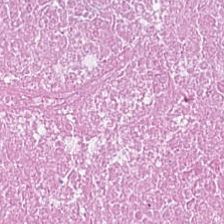Stain: H&E.
Tile size: 224×224 pixel tile.
Classification: debris.
